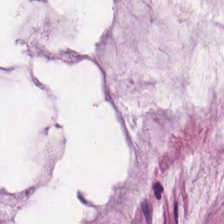224×224 pixel tile · H&E. Classification — mucin.
